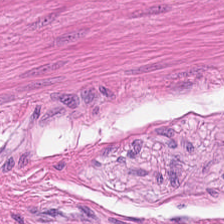Hematoxylin and eosin — Q: What is shown here?
A: This is smooth muscle.
